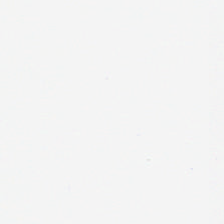{"content": "background (no tissue)"}
